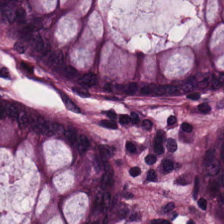224×224 pixel tile · brightfield microscopy · hematoxylin and eosin — Predominantly normal colonic mucosa.
